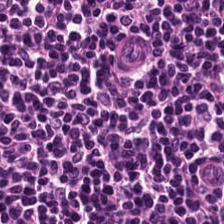H&E-stained tissue section; 0.5 microns per pixel — Q: What tissue type is shown here?
A: Lymphocytic infiltrate.
